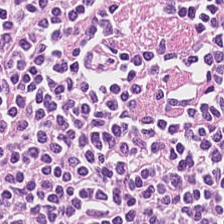Brightfield · H&E — Q: What tissue is shown?
A: Lymphocyte aggregate.
